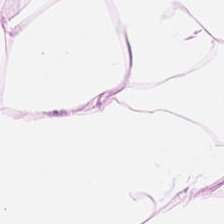Hematoxylin-and-eosin stained section; 224×224 px tile.
Tissue type = fat tissue.
